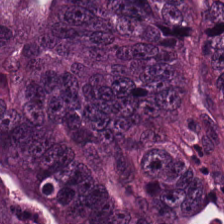H&E-stained tissue section · 0.5 µm per pixel.
Q: What type of tissue is this?
A: The field shows colorectal adenocarcinoma.
